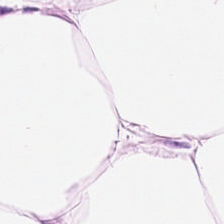Brightfield microscopy; H&E stain. Showing fat tissue.
